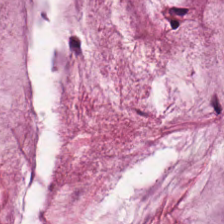Stain: H&E-stained tissue section.
Tile size: 224×224 pixel tile.
Acquisition: whole-slide-image patch.
Tissue: mucus.
